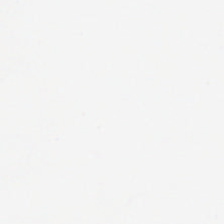H&E stain — Q: What is shown in this field?
A: This is empty background.
